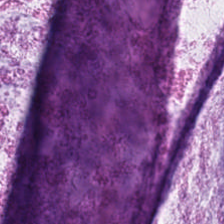Hematoxylin and eosin. Finding — extracellular mucin.
